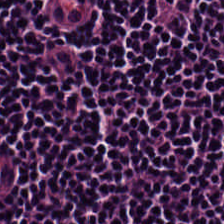Hematoxylin-and-eosin stained section. The predominant tissue is lymphocyte aggregate.
